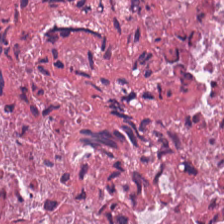H&E stain. This field is debris.
